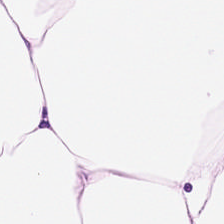Formalin-fixed paraffin-embedded section; H&E. Predominantly adipocytes.
